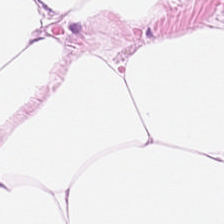Q: What is the predominant tissue type?
A: It is fat tissue.
